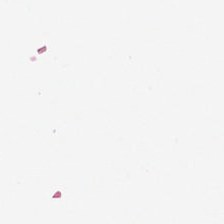Classification: background.
